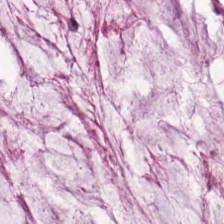Stain: H&E.
Predominant tissue: mucin.
